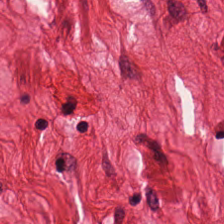H&E. Formalin-fixed paraffin-embedded section — Predominantly smooth-muscle tissue.
